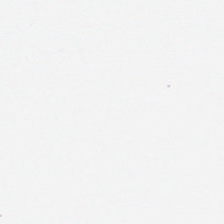Background — no tissue in this field.
